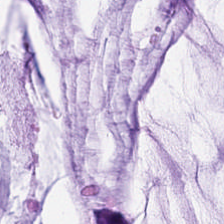H&E-stained tissue section.
Predominantly mucus.
